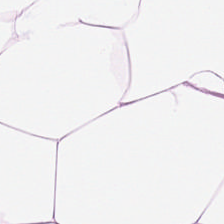H&E-stained tissue section. Q: What tissue type is shown here?
A: Adipose tissue.
